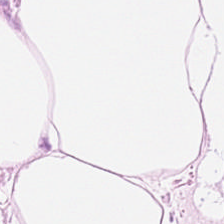Stain: H&E-stained tissue section.
Acquisition: brightfield microscopy.
Classification: adipose.
